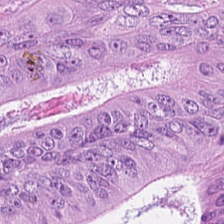The predominant tissue is malignant epithelium.
